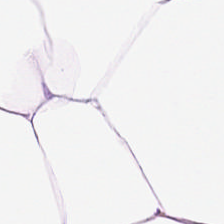Stain: H&E-stained tissue section.
Resolution: 0.5 µm/px.
Tissue type: fat tissue.
